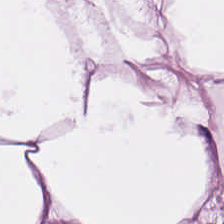Hematoxylin-and-eosin stained section. Adipose tissue.
